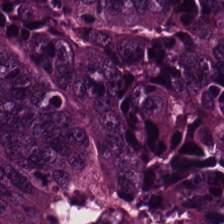The tissue class is adenocarcinoma.
